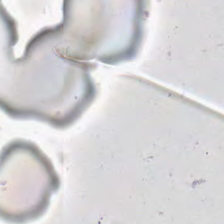Histology → empty background.
